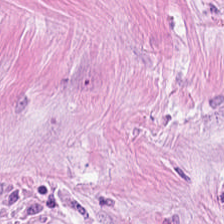H&E-stained tissue section.
Q: What is shown in this field?
A: The field shows desmoplastic stroma.
